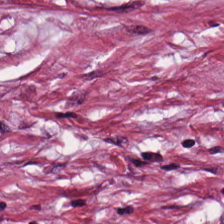Stain: hematoxylin and eosin.
Resolution: 0.5 µm per pixel.
Tissue: desmoplastic stroma.
